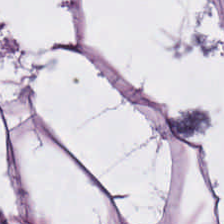H&E-stained tissue section; formalin-fixed paraffin-embedded section — Showing fat tissue.
